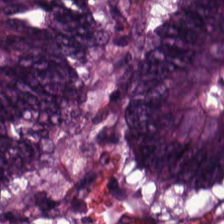224×224 pixel tile · hematoxylin-and-eosin stained section.
The classification is malignant epithelium.
